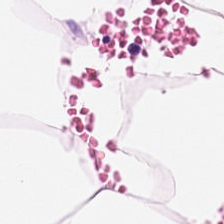224×224 px tile. Hematoxylin and eosin.
Tissue class: adipose tissue.
